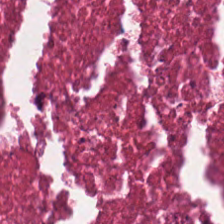Hematoxylin-and-eosin stained section · 0.5 µm/px — Classification = necrotic debris.
